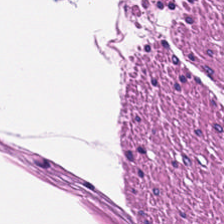H&E stain · brightfield. The predominant tissue is smooth muscle.
